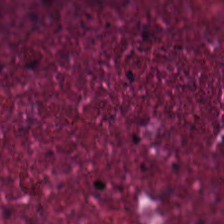Q: What does this patch show?
A: Debris.
